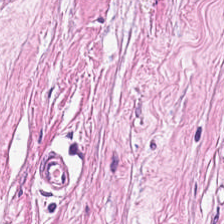H&E — desmoplastic stroma.
